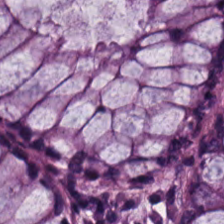Hematoxylin-and-eosin stained section.
This field is non-neoplastic colon mucosa.
